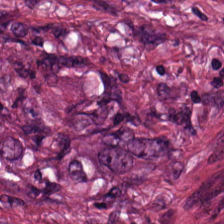This field is desmoplastic stroma.
